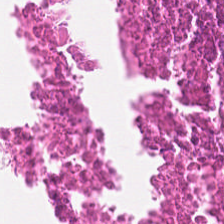H&E.
The predominant tissue is necrotic debris.
